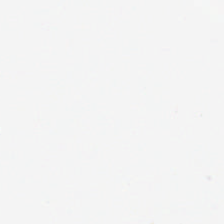No tissue present; background only.
